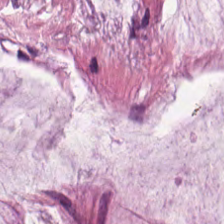This patch shows mucus.
